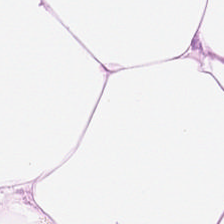Q: Classify this patch.
A: Adipose.
